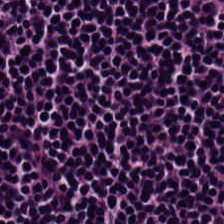H&E stain. {"tissue_type": "lymphocytic infiltrate"}
